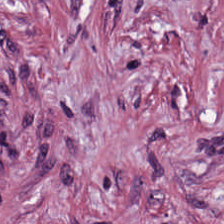H&E stain.
Predominantly cancer-associated stroma.
